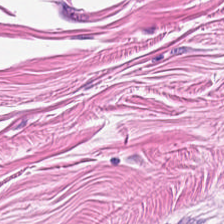Hematoxylin-and-eosin stained section — The classification is smooth-muscle tissue.
